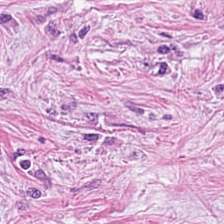Predominantly desmoplastic stroma.
